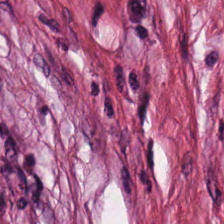H&E stain · 0.5 µm per pixel.
The predominant tissue is desmoplastic stroma.
